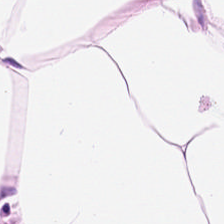Hematoxylin-and-eosin stained section. Fat tissue.
